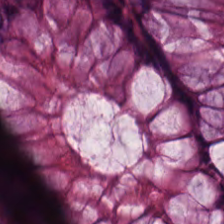Hematoxylin and eosin. This patch shows non-neoplastic colon mucosa.
